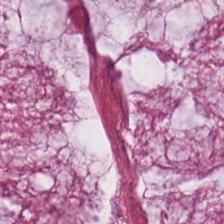Hematoxylin and eosin. Q: Classify this patch.
A: This is mucus.
